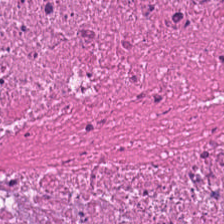H&E-stained tissue section. Predominantly cellular debris.
